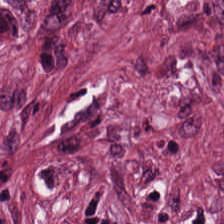Histology → cancer-associated stroma.
